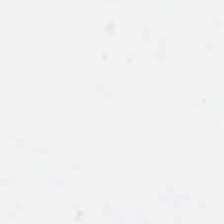H&E stain — No tissue present; background only.
